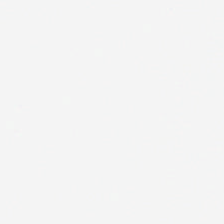H&E. The content is background.
